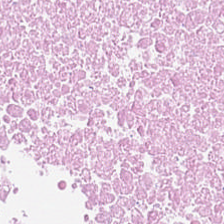Hematoxylin-and-eosin stained section.
Q: What tissue type is shown here?
A: The field shows cellular debris.
